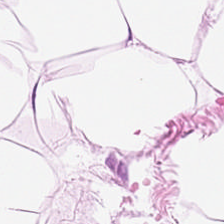Finding — adipocytes.
